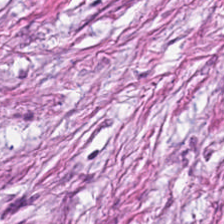224×224 px tile. Whole-slide-image patch. Hematoxylin and eosin.
Predominant tissue — cancer-associated stroma.
